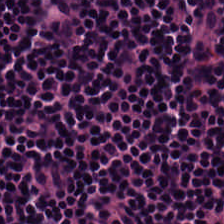H&E-stained tissue section. Predominantly lymphocyte aggregate.
